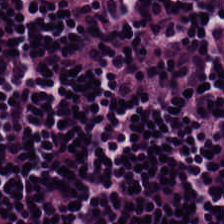H&E-stained tissue section.
Tissue type = lymphocytic infiltrate.
